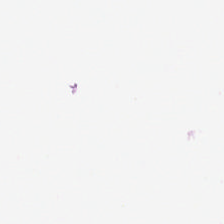0.5 µm/px; H&E.
Classification: background (no tissue).
